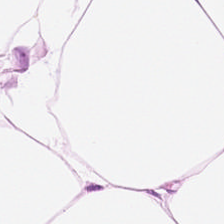FFPE · hematoxylin and eosin · brightfield microscopy. This field is adipose tissue.
